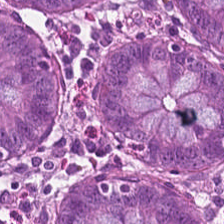Q: Identify the tissue.
A: It is normal colon mucosa.
